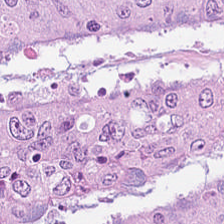FFPE tissue section · H&E. Tissue class = tumor epithelium.
